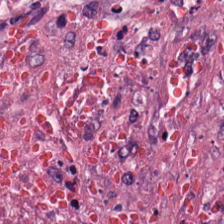WSI patch. H&E stain. 224×224 px patch. Q: What is shown here?
A: Debris.
